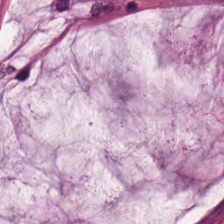224×224 px patch; hematoxylin-and-eosin stained section — Predominantly mucin.
